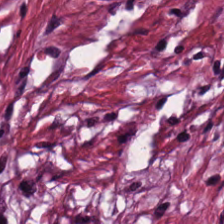Showing desmoplastic stroma.
